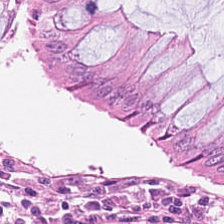Q: Identify the tissue.
A: It is non-neoplastic colon mucosa.
